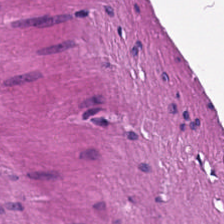Predominant tissue — smooth-muscle tissue.
